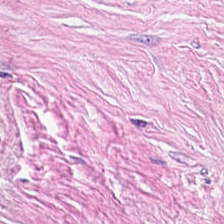H&E-stained section; the field shows tumor-associated stroma.
